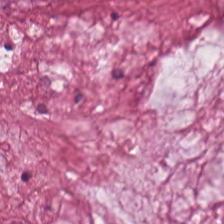Predominantly mucus.
